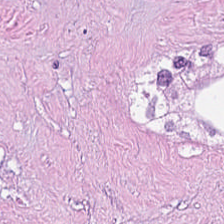Hematoxylin-and-eosin stained section.
This patch shows necrotic debris.
